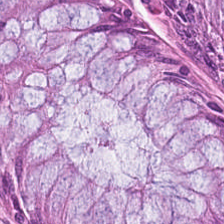H&E stain.
Predominant tissue — benign colonic mucosa.
